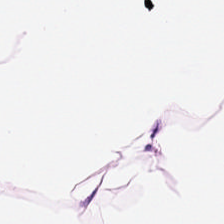Hematoxylin and eosin. FFPE tissue section. 224×224 px patch. Q: What tissue type is shown here?
A: This is adipose tissue.
